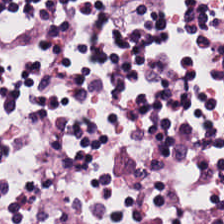224×224 px patch. H&E.
Q: Classify this patch.
A: Lymphocyte aggregate.
